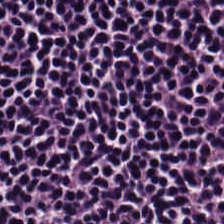H&E stain.
Tissue type = lymphocytes.
